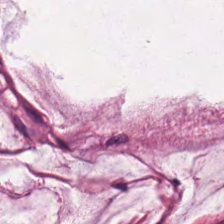H&E-stained tissue section. This field is mucus.
